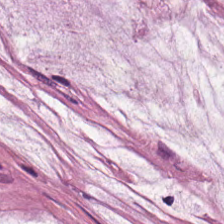Finding — mucus.
